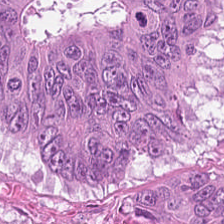H&E patch showing tumor epithelium.
